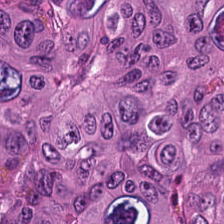Predominantly colorectal adenocarcinoma epithelium.
